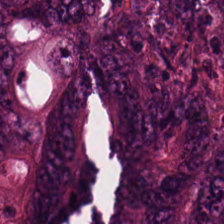H&E. 20× equivalent magnification. WSI patch.
Tissue — malignant epithelium.
